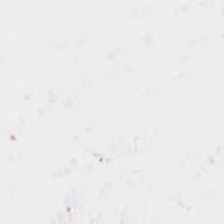Hematoxylin-and-eosin stained section · 224×224 pixel tile — Finding → background (no tissue).
